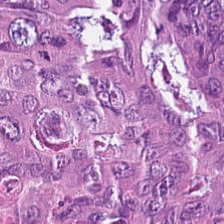H&E-stained tissue section · brightfield · FFPE tissue section. Tumor epithelium.
